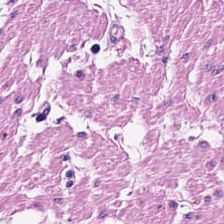H&E stain · 0.5 µm/px.
Muscularis.
